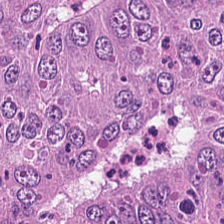Hematoxylin and eosin.
Q: What is shown in this field?
A: The field shows tumor epithelium.
